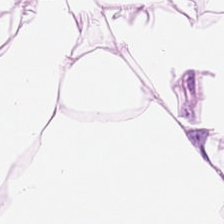Stain: H&E.
Predominant tissue: adipose tissue.
